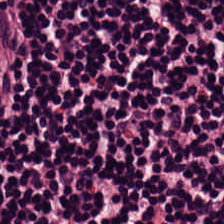Hematoxylin and eosin. Lymphocytes.
